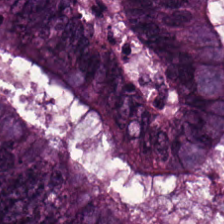H&E stain.
This patch shows tumor epithelium.
